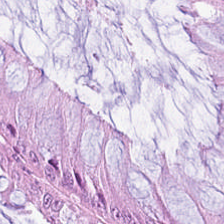224×224 px tile; H&E stain.
The tissue class is normal colon mucosa.
